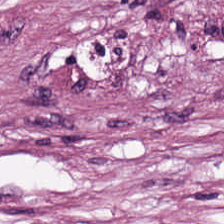The classification is desmoplastic stroma.
